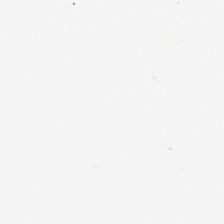Formalin-fixed paraffin-embedded section · H&E — {"content": "empty background"}
